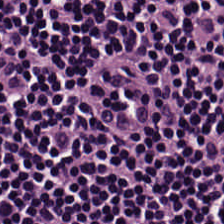The predominant tissue is lymphocytes.
